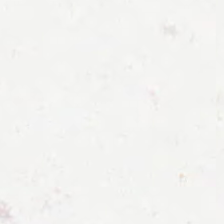H&E-stained tissue section. Empty field — background.
